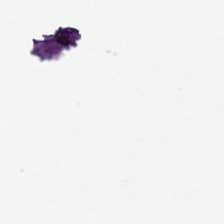Stain: hematoxylin and eosin.
Content: background (no tissue).
